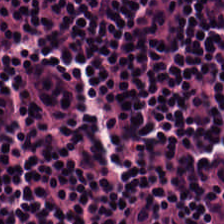FFPE · H&E-stained tissue section · 0.5 µm per pixel. Tissue type = lymphocyte aggregate.
